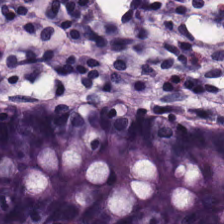Whole-slide-image patch. 0.5 µm/px. Hematoxylin and eosin.
Q: Identify the tissue.
A: Normal colon mucosa.
